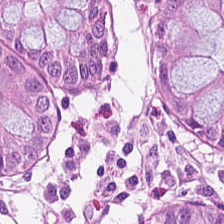Tissue type: normal colonic mucosa.
